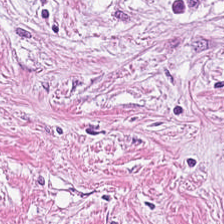H&E. Whole-slide-image patch.
Q: What tissue type is shown here?
A: This is tumor stroma.
